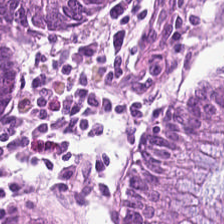H&E — Q: What tissue is shown?
A: This is benign colonic mucosa.
